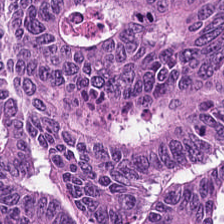Q: What is shown in this field?
A: The field shows colorectal adenocarcinoma.
